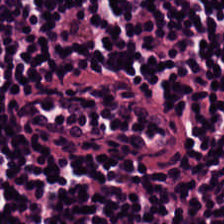H&E.
The predominant tissue is lymphoid infiltrate.
